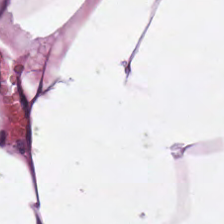H&E-stained tissue section.
Adipose.
